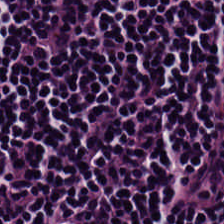Hematoxylin-and-eosin stained section. Brightfield microscopy — The tissue type is lymphocytic infiltrate.
